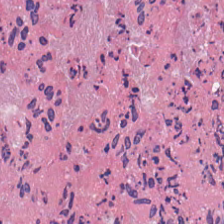Brightfield microscopy; H&E stain. Q: Identify the tissue.
A: The field shows debris.
